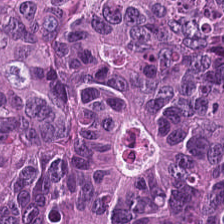Brightfield microscopy · H&E.
Showing colorectal adenocarcinoma epithelium.
